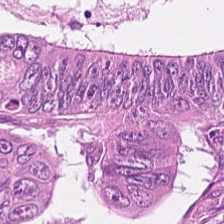H&E stain; 224×224 pixel tile.
Classification = malignant epithelium.
